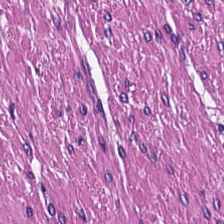H&E stain. The predominant tissue is muscularis.
